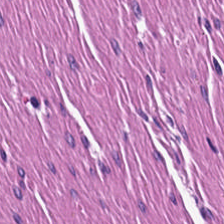Showing muscularis.
